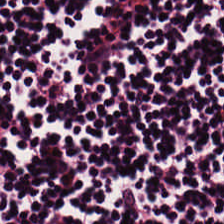FFPE tissue section. H&E stain. 0.5 µm per pixel. Finding — lymphoid infiltrate.
